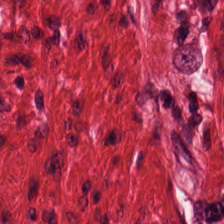H&E-stained tissue section — Q: What type of tissue is this?
A: This is smooth-muscle tissue.
